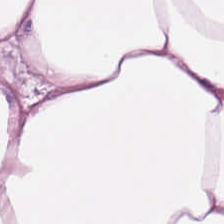Hematoxylin-and-eosin stained section.
This field is fat tissue.
